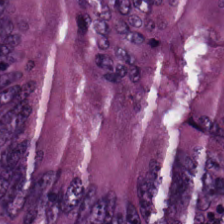H&E stain — Tumor epithelium.
